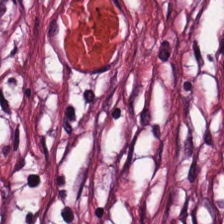H&E stain.
This field is desmoplastic stroma.
